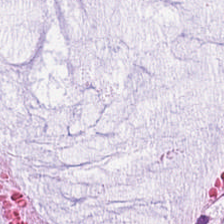Hematoxylin and eosin.
Predominant tissue — extracellular mucin.
